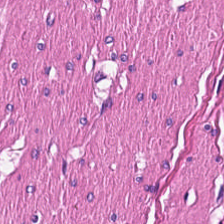Brightfield · H&E-stained tissue section · FFPE tissue section.
The tissue is smooth-muscle tissue.
